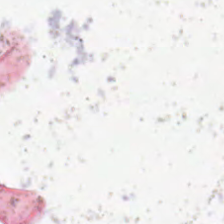H&E. No tissue.
